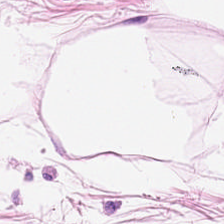Hematoxylin and eosin — {"tissue_type": "fat tissue"}
